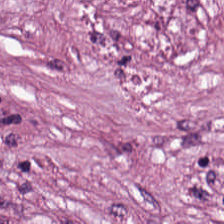Tissue class: tumor stroma.
